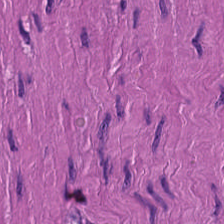224×224 px patch. Whole-slide-image patch. Hematoxylin-and-eosin stained section.
Smooth-muscle tissue.
